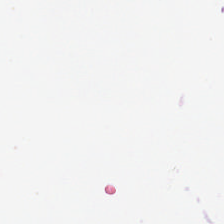H&E-stained tissue section. No tissue present; background only.
